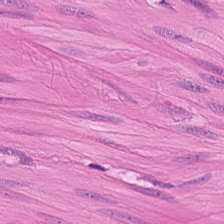Hematoxylin and eosin — Tissue type — smooth-muscle tissue.
